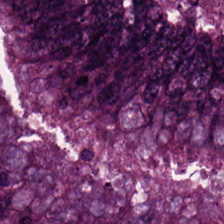0.5 microns per pixel. 224×224 px tile. H&E stain.
The predominant tissue is colorectal adenocarcinoma.
